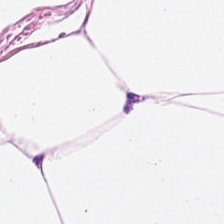WSI patch. Hematoxylin-and-eosin stained section. Formalin-fixed paraffin-embedded section.
This patch shows fat tissue.
